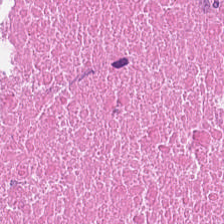Hematoxylin and eosin.
Predominant tissue = debris.
